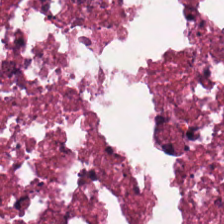H&E-stained tissue section.
Tissue — necrotic debris.
